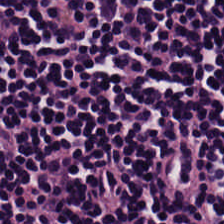The tissue is lymphoid infiltrate.
